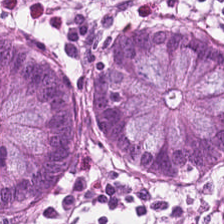224×224 pixel tile. H&E — Q: What is shown here?
A: It is non-neoplastic colon mucosa.
